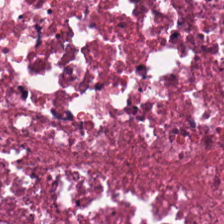H&E — {"tissue_type": "necrotic debris"}
